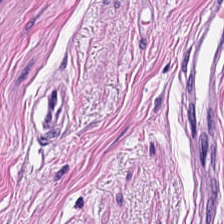H&E stain — {"tissue_type": "muscularis"}
